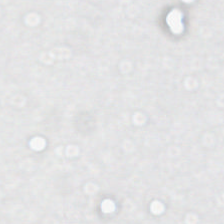H&E stain.
Content: background.
